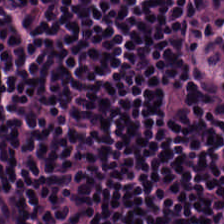H&E-stained tissue section — Tissue class — lymphocytic infiltrate.
